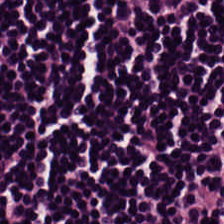This patch shows lymphocytes.
